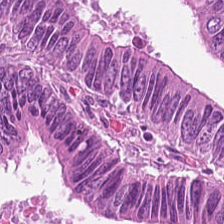Tissue: adenocarcinoma.
